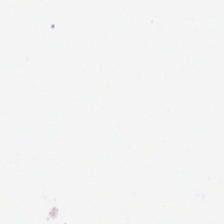Hematoxylin-and-eosin stained section — Content: empty background.
